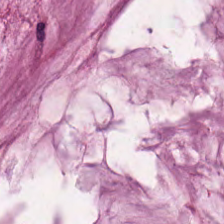Stain: H&E stain.
Tissue: mucus.
